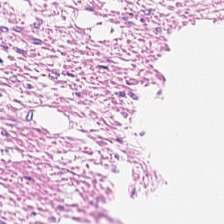Hematoxylin-and-eosin stained section. 224×224 px patch.
This patch shows smooth-muscle tissue.
